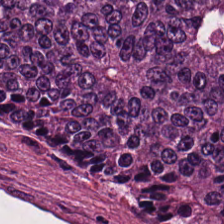H&E stain.
This patch shows malignant epithelium.
